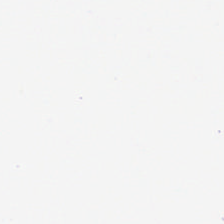Stain: hematoxylin-and-eosin stained section.
Resolution: 20× equivalent magnification.
Classification: empty background.
